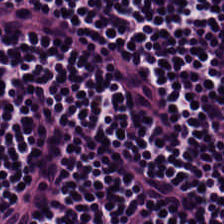H&E-stained tissue section · 224×224 px tile — The predominant tissue is lymphocytes.
